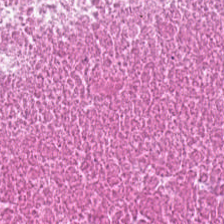H&E — This patch shows cellular debris.
